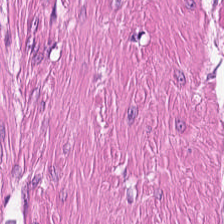H&E; 20× equivalent magnification — Q: What is shown here?
A: The field shows smooth muscle.
